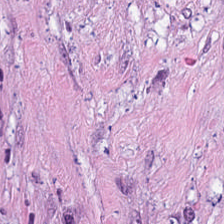Stain: hematoxylin-and-eosin stained section.
Predominant tissue: desmoplastic stroma.
